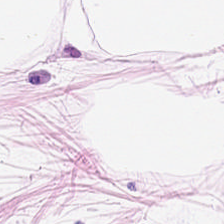Hematoxylin-and-eosin stained section — Classification: adipocytes.
